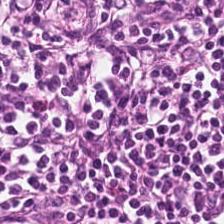Hematoxylin and eosin. FFPE tissue section — Predominant tissue = lymphocytes.
